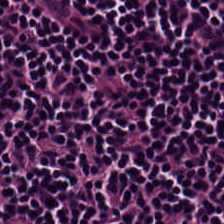224×224 px patch; H&E-stained tissue section; whole-slide-image patch.
Classification = lymphoid infiltrate.
